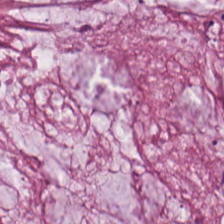FFPE tissue section. 224×224 px patch. H&E.
Showing mucin.
